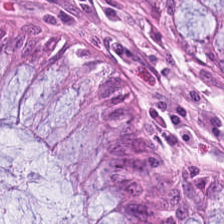Stain: H&E stain.
Preparation: FFPE.
Tissue: non-neoplastic colon mucosa.
